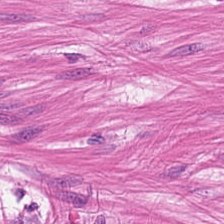This patch shows muscularis.
